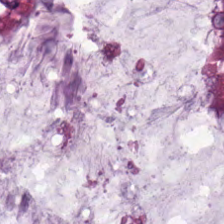Brightfield microscopy · hematoxylin-and-eosin stained section. The classification is extracellular mucin.
